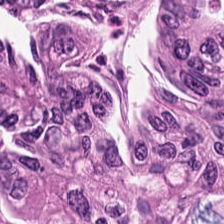Tissue: colorectal adenocarcinoma.
